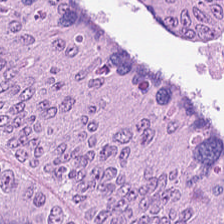Brightfield · hematoxylin and eosin · 224×224 px patch — This patch shows colorectal adenocarcinoma.
